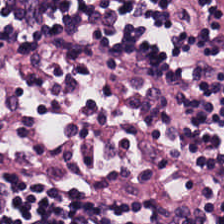H&E stain.
Predominantly lymphocytic infiltrate.
